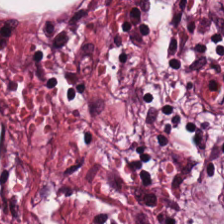H&E-stained tissue section — Predominantly tumor stroma.
